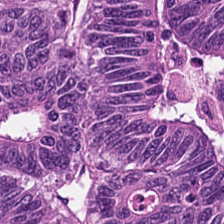H&E · FFPE tissue section · 224×224 px patch — Q: Classify this patch.
A: It is adenocarcinoma.
